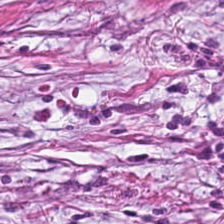This field is tumor-associated stroma.
